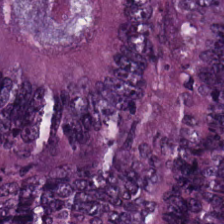H&E-stained tissue section; 224×224 px tile.
The predominant tissue is malignant epithelium.
